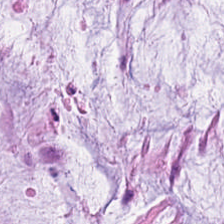H&E-stained tissue section — Tissue type = mucus.
